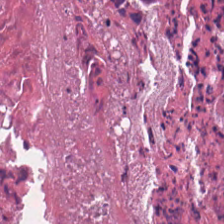Hematoxylin-and-eosin stained section; WSI patch; FFPE — Showing cellular debris.
